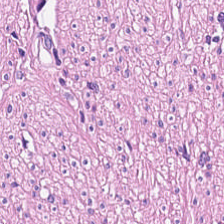Hematoxylin-and-eosin stained section.
Finding → smooth-muscle tissue.
